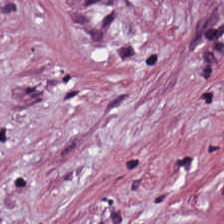Q: What is shown in this field?
A: This is tumor stroma.
